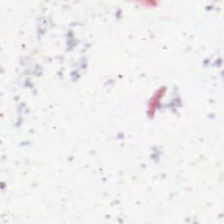Stain: H&E-stained tissue section.
Resolution: 0.5 µm per pixel.
Field content: background.
